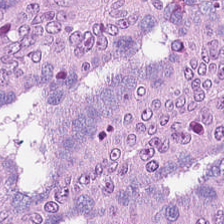H&E — Tissue type = tumor epithelium.
